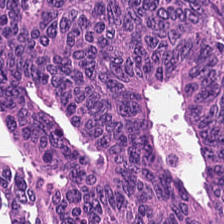Q: What is the predominant tissue type?
A: This is malignant epithelium.
